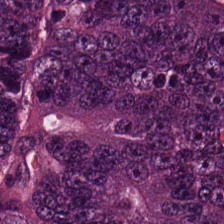Impression — colorectal adenocarcinoma epithelium.
